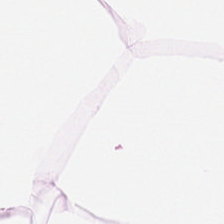H&E; formalin-fixed paraffin-embedded section — This field is fat tissue.
